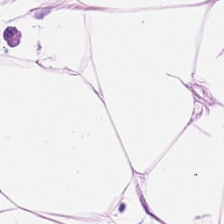H&E. This field is adipose.
